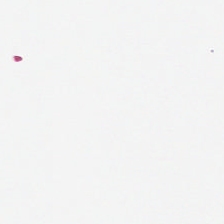Background (no tissue).
